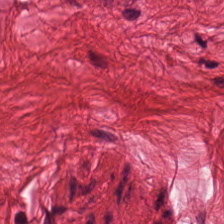Showing smooth-muscle tissue.
